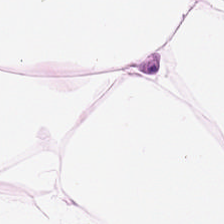Stain: H&E stain.
Predominant tissue: adipose.
